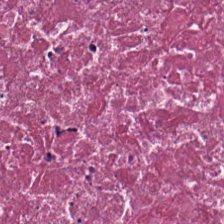Hematoxylin-and-eosin stained section. 0.5 µm per pixel.
The predominant tissue is debris.
